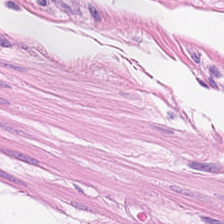Stain: H&E.
Tissue type: smooth-muscle tissue.
